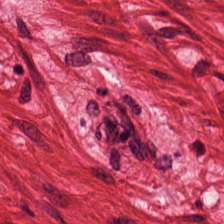Stain: H&E.
Classification: muscularis.
